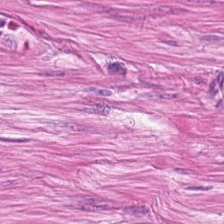H&E stain; 0.5 microns per pixel — This field is smooth-muscle tissue.
